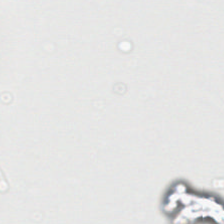Hematoxylin and eosin. Finding — background.
